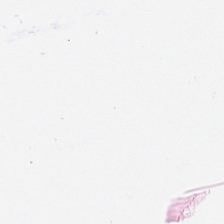{"tissue_type": "adipocytes"}
